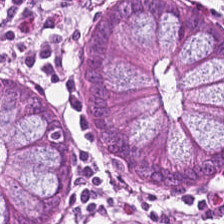Classification = normal colonic mucosa.
